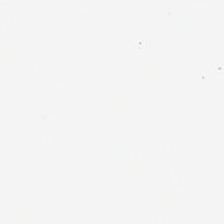Stain: H&E.
Content: empty background.
